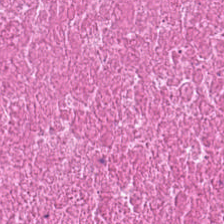H&E. {"tissue_type": "necrotic debris"}
